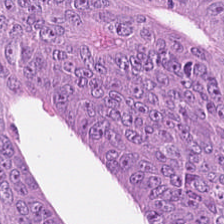224×224 px tile · hematoxylin-and-eosin stained section. Finding — colorectal adenocarcinoma epithelium.
